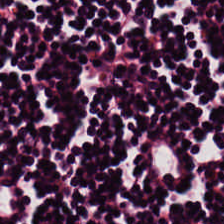Stain: hematoxylin and eosin.
Preparation: FFPE.
Tile size: 224×224 pixel tile.
Tissue type: lymphocytic infiltrate.
